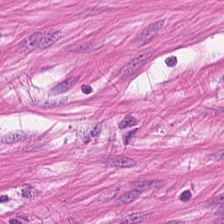Whole-slide-image patch. Hematoxylin and eosin.
This patch shows muscularis.
